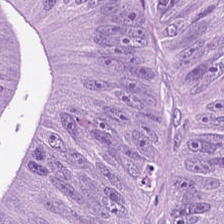H&E.
Classification: colorectal adenocarcinoma epithelium.
